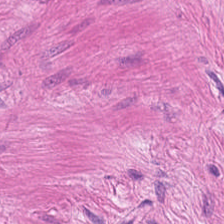Whole-slide-image patch · H&E-stained tissue section — Tissue type: smooth-muscle tissue.
